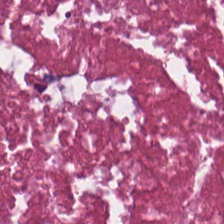Hematoxylin-and-eosin section: cellular debris.
